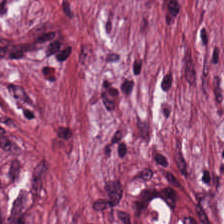{"tissue_type": "tumor stroma"}
